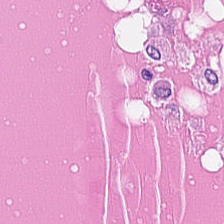0.5 µm/px · hematoxylin and eosin. Q: What tissue type is shown here?
A: This is debris.
